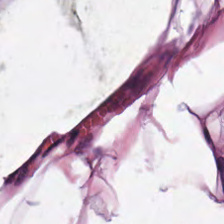FFPE. H&E — The tissue type is adipose tissue.
